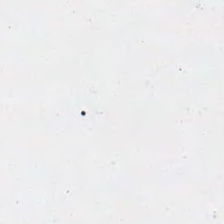Hematoxylin-and-eosin stained section — Field content: no tissue.
